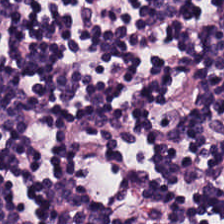Showing lymphocytes.
